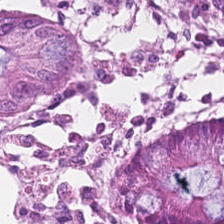224×224 px tile. Hematoxylin-and-eosin stained section. 0.5 µm/px. The predominant tissue is benign colonic mucosa.
